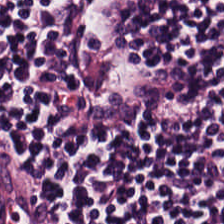WSI patch. Hematoxylin and eosin.
The tissue here is lymphoid infiltrate.
